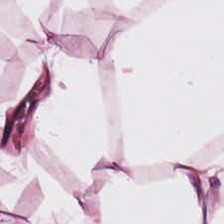H&E. The predominant tissue is adipose.
